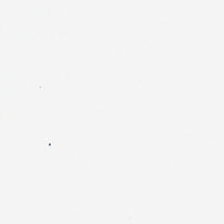Q: What is shown here?
A: It is empty background.
